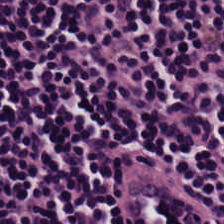Stain: hematoxylin and eosin.
Acquisition: whole-slide-image patch.
Classification: lymphocytic infiltrate.
